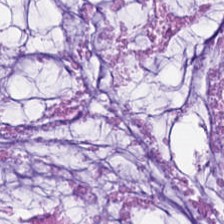H&E stain · 224×224 px tile · 0.5 µm per pixel. Tissue: mucus.
